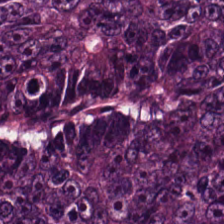Brightfield microscopy. Hematoxylin-and-eosin stained section. FFPE — Tissue type: malignant epithelium.
